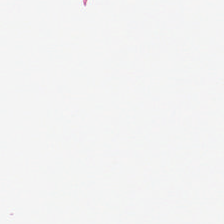224×224 pixel tile; H&E.
Q: Classify this patch.
A: The field shows background (no tissue).
